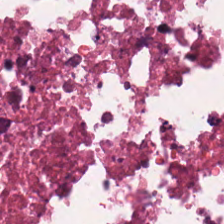The predominant tissue is necrotic debris.
